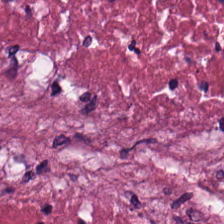224×224 px tile. Hematoxylin-and-eosin stained section.
This patch shows necrotic debris.
